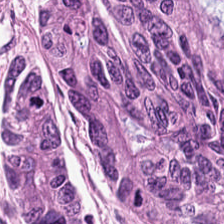H&E stain; 0.5 µm/px — The predominant tissue is tumor epithelium.
